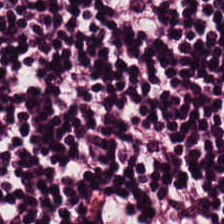H&E stain — {"tissue_type": "lymphocytic infiltrate"}
